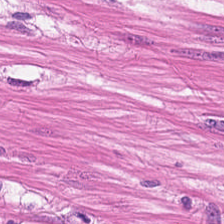Hematoxylin-and-eosin stained section. Smooth-muscle tissue.
